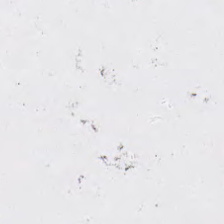Classification = background.
